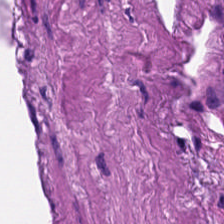Hematoxylin-and-eosin stained section. Histology — smooth muscle.
